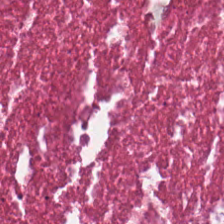Predominantly cellular debris.
